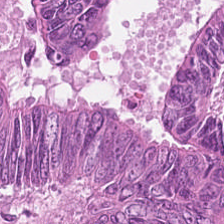H&E; 224×224 px tile — Predominant tissue — adenocarcinoma.
